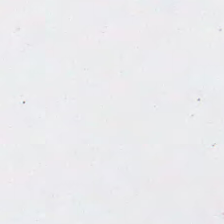H&E.
Q: What is shown in this field?
A: This is no tissue.
